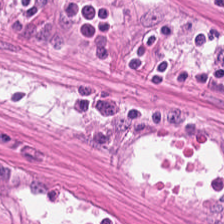Hematoxylin-and-eosin stained section.
Showing muscularis.
